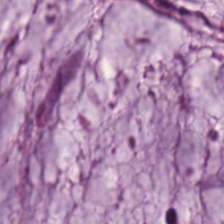FFPE; H&E; brightfield — Tissue — mucus.
